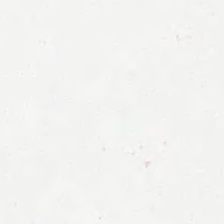H&E-stained tissue section — Finding — background (no tissue).
